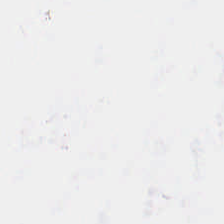Hematoxylin and eosin — Histology — background (no tissue).
